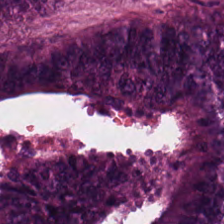FFPE · H&E. Q: What does this patch show?
A: This is tumor epithelium.
